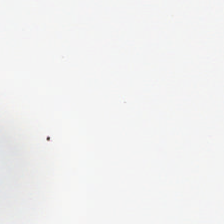224×224 pixel tile; H&E — Background — no tissue in this field.
